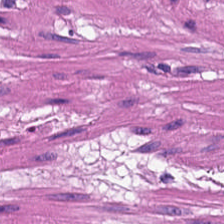Stain: H&E.
Tissue type: muscularis.
